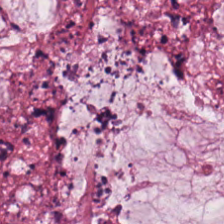224×224 px tile. H&E stain. Q: Identify the tissue.
A: This is mucin.
